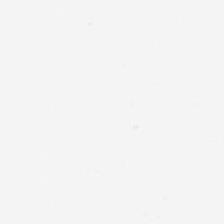Q: Classify this patch.
A: This is background.
